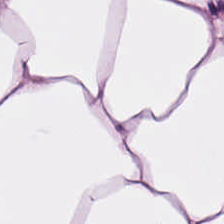H&E stain; 0.5 microns per pixel — This patch shows adipose tissue.
